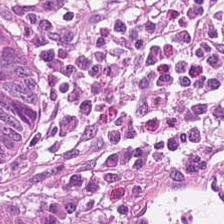Whole-slide-image patch · 20× equivalent magnification · H&E. Q: What type of tissue is this?
A: This is malignant epithelium.
